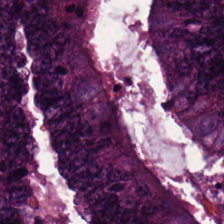FFPE tissue section · 224×224 pixel tile · H&E-stained tissue section — The predominant tissue is malignant epithelium.
